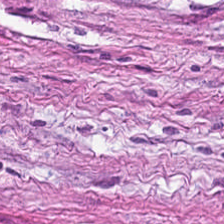Hematoxylin-and-eosin stained section. The predominant tissue is tumor stroma.
